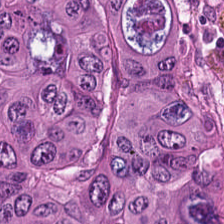Stain: H&E stain.
Predominant tissue: tumor epithelium.
